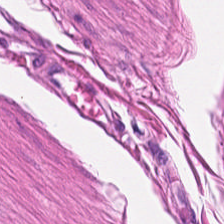224×224 px tile. H&E stain.
Impression — muscularis.
